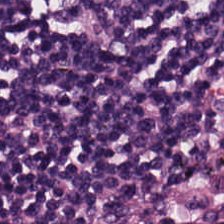H&E stain.
This patch shows lymphoid infiltrate.
